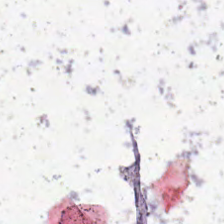H&E stain. Content: no tissue.
